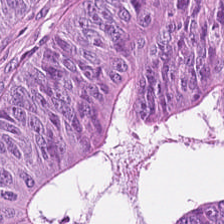H&E stain.
Tissue = malignant epithelium.
